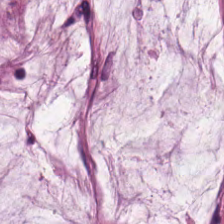224×224 px patch; H&E-stained tissue section. Predominantly mucin.
